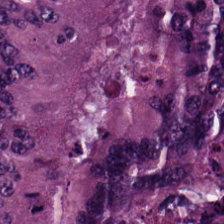Tissue type: colorectal adenocarcinoma epithelium.
